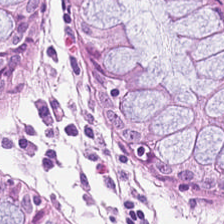Hematoxylin and eosin — The tissue type is normal colon mucosa.
